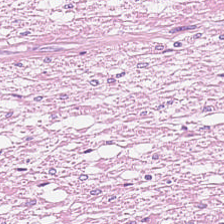Showing smooth-muscle tissue.
